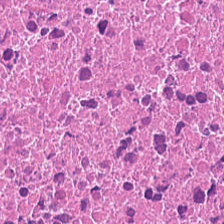Formalin-fixed paraffin-embedded section. H&E stain. 0.5 µm per pixel. Q: What does this patch show?
A: This is cellular debris.
